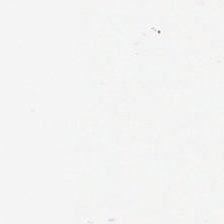H&E stain.
Q: What is shown here?
A: It is no tissue.
